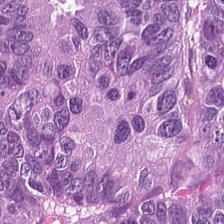The tissue is adenocarcinoma.
